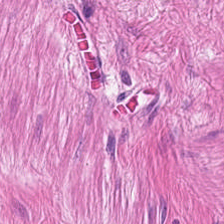Hematoxylin-and-eosin stained section.
Smooth muscle.
